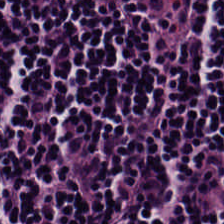Hematoxylin and eosin — The tissue here is lymphocyte aggregate.
